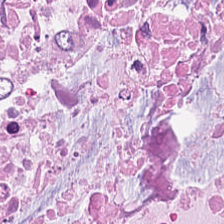Stain: hematoxylin and eosin.
Tissue class: necrotic debris.
